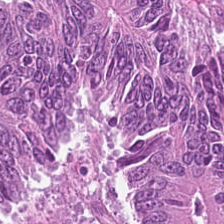Q: What does this patch show?
A: The field shows colorectal adenocarcinoma epithelium.
